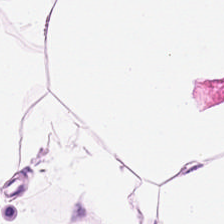H&E stain. Formalin-fixed paraffin-embedded section.
Q: What is the predominant tissue type?
A: Fat tissue.
